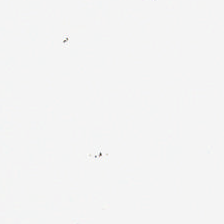Hematoxylin and eosin.
This field is background (no tissue).
